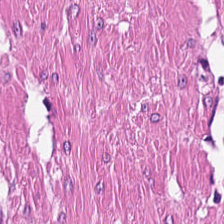Predominant tissue = smooth muscle.
